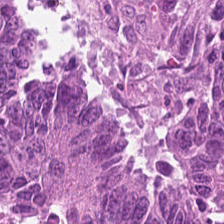20× equivalent magnification · brightfield · hematoxylin-and-eosin stained section.
Histology → tumor epithelium.
